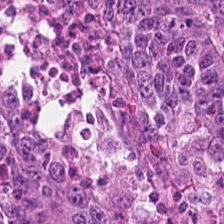Hematoxylin and eosin — The tissue here is adenocarcinoma.
